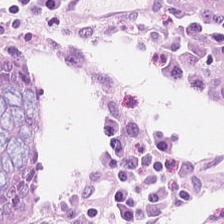H&E stain.
Q: What is the predominant tissue type?
A: The field shows non-neoplastic colon mucosa.
